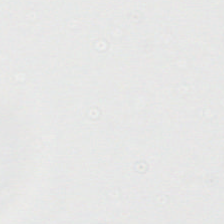Content — empty background.
